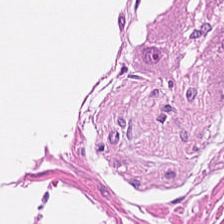Stain: hematoxylin-and-eosin stained section.
Acquisition: WSI patch.
Classification: smooth-muscle tissue.
